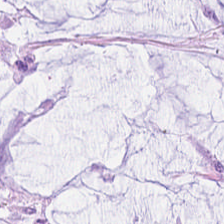0.5 microns per pixel; H&E stain.
The predominant tissue is extracellular mucin.
